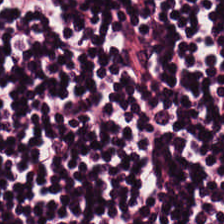H&E-stained tissue section.
Finding — lymphocyte aggregate.
